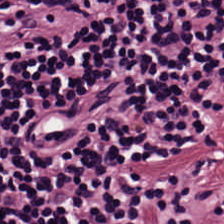Hematoxylin-and-eosin stained section · formalin-fixed paraffin-embedded section · WSI patch.
Q: What is the predominant tissue type?
A: The field shows lymphocyte aggregate.
